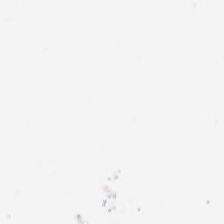{"content": "background (no tissue)"}
